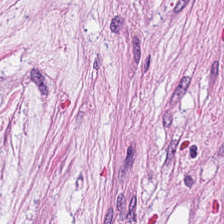0.5 microns per pixel; whole-slide-image patch; H&E.
Tissue class — tumor-associated stroma.
